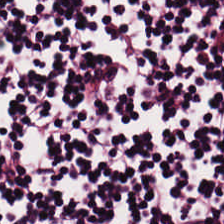H&E-stained tissue section.
Q: What is the predominant tissue type?
A: This is lymphoid infiltrate.
